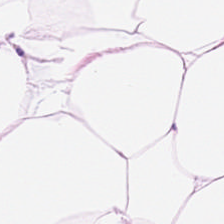H&E stain. 20× equivalent magnification. 224×224 px patch — Classification: adipose.
